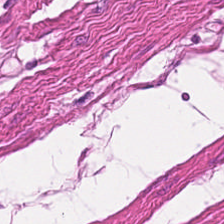H&E stain · 20× equivalent magnification — Tissue type — smooth muscle.
